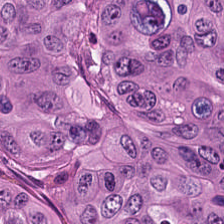0.5 µm per pixel · 224×224 px patch · hematoxylin and eosin. Impression → malignant epithelium.
